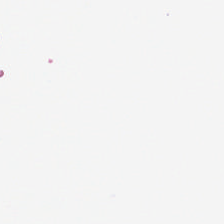Hematoxylin-and-eosin stained section. 0.5 microns per pixel.
Content — background.
